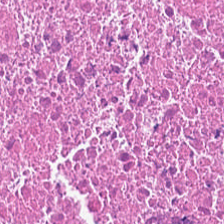Hematoxylin and eosin. Q: What type of tissue is this?
A: This is debris.
